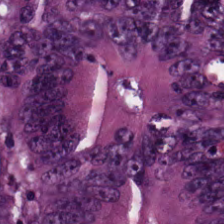Q: What is the predominant tissue type?
A: This is adenocarcinoma.
